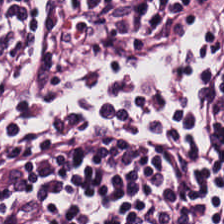Histology → lymphoid infiltrate.
